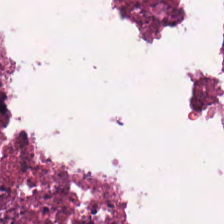Q: What tissue type is shown here?
A: This is cellular debris.
